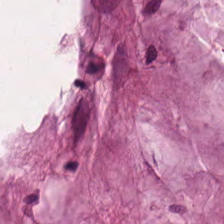224×224 px tile · H&E · brightfield.
The tissue is mucin.
